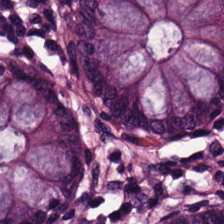Q: What type of tissue is this?
A: This is non-neoplastic colon mucosa.
